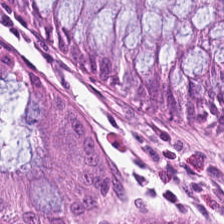0.5 µm/px · H&E stain — Q: What is shown here?
A: It is benign colonic mucosa.
